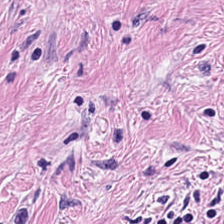H&E stain · whole-slide-image patch. Q: What tissue type is shown here?
A: The field shows tumor stroma.
